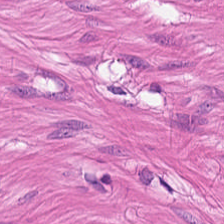Brightfield microscopy. H&E stain. 224×224 px patch — The tissue class is muscularis.
